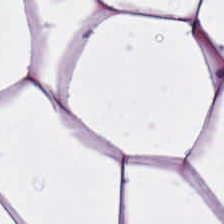224×224 px tile. 0.5 microns per pixel. Hematoxylin-and-eosin stained section.
This field is fat tissue.
